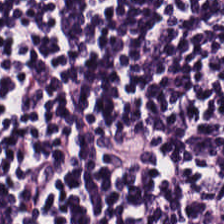H&E stain.
Finding — lymphocytes.
